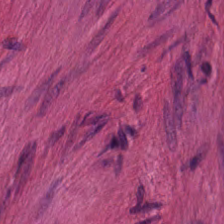Hematoxylin and eosin. 0.5 microns per pixel — Tissue class = smooth-muscle tissue.
